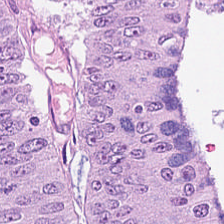Hematoxylin-and-eosin stained section — The predominant tissue is tumor epithelium.
